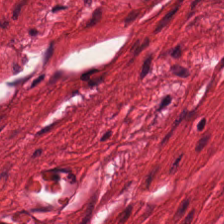Hematoxylin and eosin.
The tissue here is muscularis.
